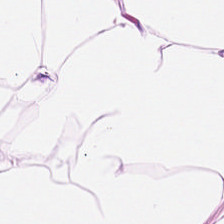Impression — adipose tissue.
